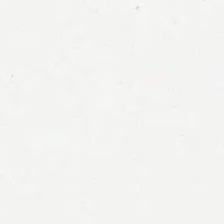FFPE tissue section. Hematoxylin-and-eosin stained section — Classification = empty background.
